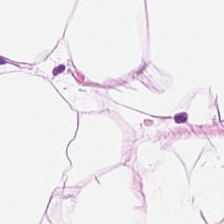Brightfield. Formalin-fixed paraffin-embedded section. H&E-stained tissue section.
This field is adipose tissue.
